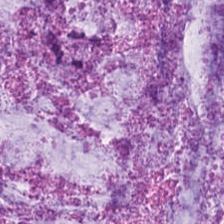Hematoxylin and eosin · 224×224 px tile · 0.5 microns per pixel.
The predominant tissue is mucus.
